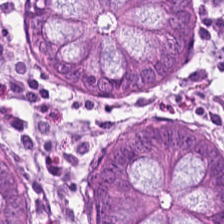Brightfield. 224×224 px tile. H&E-stained tissue section. Showing non-neoplastic colon mucosa.
